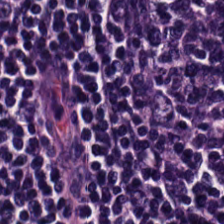Predominant tissue — lymphoid infiltrate.
